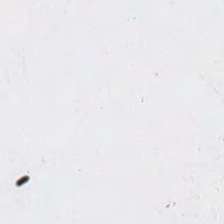This field is background (no tissue).
